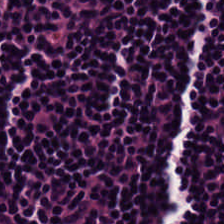Stain: hematoxylin-and-eosin stained section.
Resolution: 0.5 µm per pixel.
Tile size: 224×224 px tile.
Classification: lymphocytic infiltrate.
